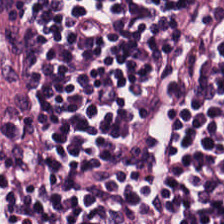224×224 px patch. WSI patch. Hematoxylin and eosin.
Predominant tissue = lymphocytic infiltrate.
